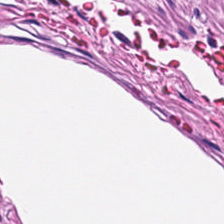224×224 px patch. 0.5 µm per pixel. Hematoxylin and eosin — Q: What type of tissue is this?
A: The field shows smooth muscle.
